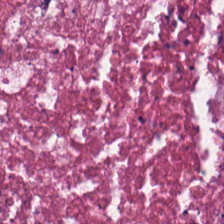H&E-stained tissue section — The predominant tissue is cellular debris.
